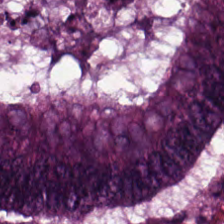Tissue class — tumor epithelium.
